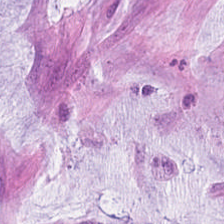Hematoxylin-and-eosin stained section.
Finding — mucus.
